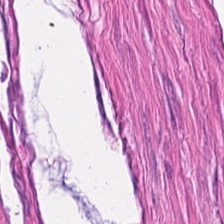H&E-stained tissue section · 0.5 microns per pixel.
Predominantly muscularis.
